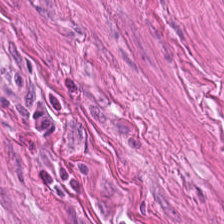Tissue class = smooth muscle.
